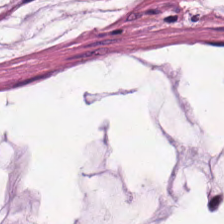Hematoxylin-and-eosin section: mucin.
